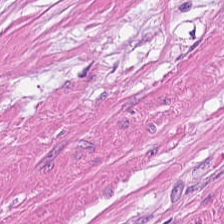Stain: H&E stain.
Tile size: 224×224 px tile.
Tissue: muscularis.
